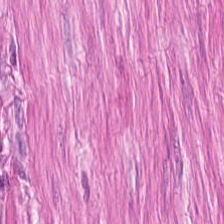{"tissue_type": "smooth-muscle tissue"}
